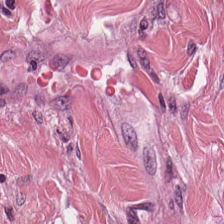Formalin-fixed paraffin-embedded section · hematoxylin-and-eosin stained section — {"tissue_type": "tumor stroma"}
